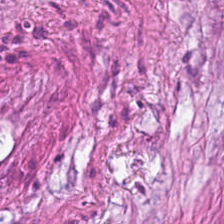H&E. Histology — desmoplastic stroma.
